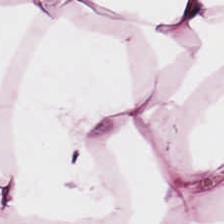Hematoxylin-and-eosin stained section. The predominant tissue is adipose.
